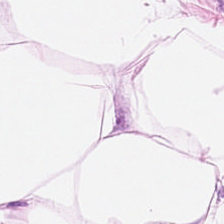H&E-stained tissue section.
This patch shows adipose tissue.
